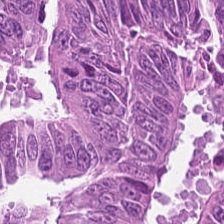Tissue class = tumor epithelium.
